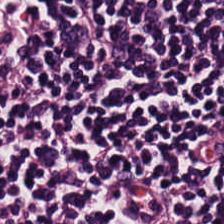Stain: H&E stain.
Predominant tissue: lymphocyte aggregate.
